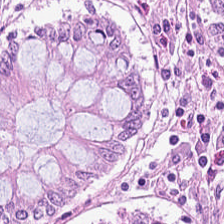Hematoxylin and eosin — Finding → benign colonic mucosa.
